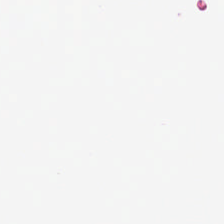Stain: H&E stain.
Resolution: 20× equivalent magnification.
Tile size: 224×224 px tile.
Field content: no tissue.
